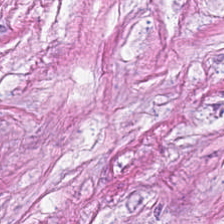0.5 microns per pixel; H&E. Q: What is shown here?
A: It is desmoplastic stroma.
